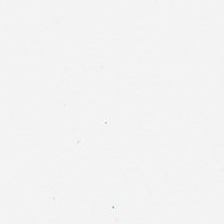H&E stain — Q: What is shown here?
A: It is background.
